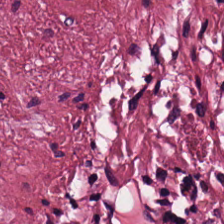Predominant tissue = desmoplastic stroma.
